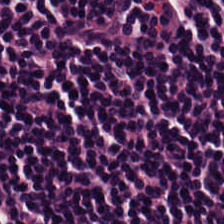Classification = lymphocytes.
